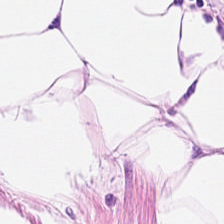Stain: H&E stain.
Classification: fat tissue.
